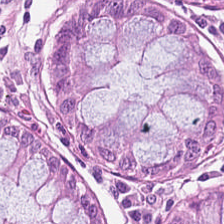Normal colon mucosa.
